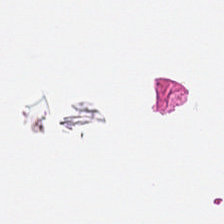H&E. Histology — background.
